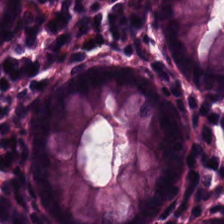Brightfield; H&E stain. {"tissue_type": "non-neoplastic colon mucosa"}
